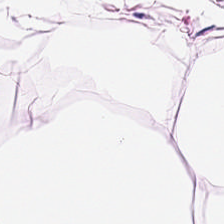Tissue = fat tissue.
